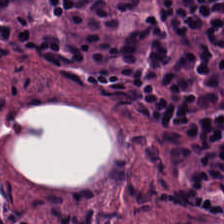The tissue class is lymphocytes.
